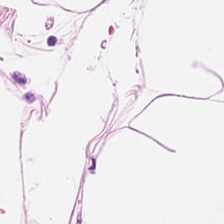H&E stain · whole-slide-image patch — Predominantly adipocytes.
